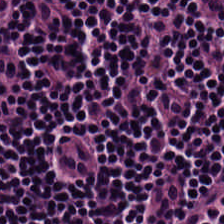H&E — Lymphoid infiltrate.
